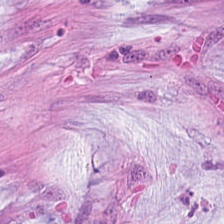Hematoxylin-and-eosin stained section.
Q: Classify this patch.
A: The field shows mucin.
